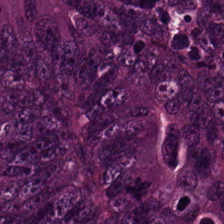Formalin-fixed paraffin-embedded section. H&E-stained tissue section. 0.5 microns per pixel — Predominantly tumor epithelium.
